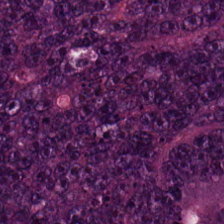H&E-stained tissue section. FFPE tissue section. Impression → adenocarcinoma.
